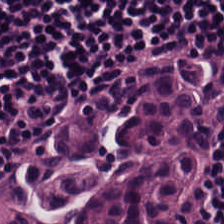Hematoxylin-and-eosin stained section; 0.5 microns per pixel. Q: What is the predominant tissue type?
A: The field shows lymphocytes.
